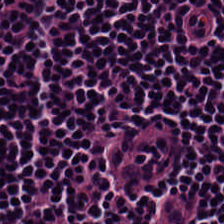Tissue: lymphocytic infiltrate.
